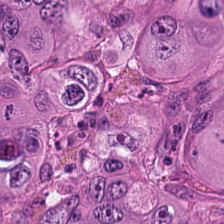H&E patch showing malignant epithelium.
